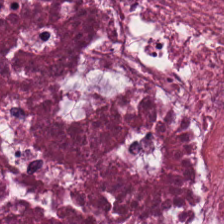Hematoxylin and eosin.
Predominant tissue: cellular debris.
